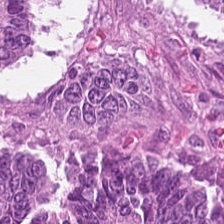H&E stain · 0.5 microns per pixel. Predominantly colorectal adenocarcinoma.
